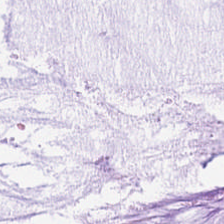H&E-stained section; the field shows mucin.
